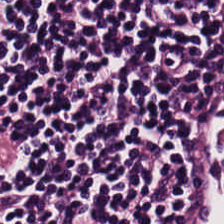H&E-stained tissue section — Tissue = lymphoid infiltrate.
